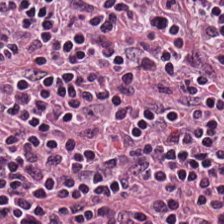Formalin-fixed paraffin-embedded section; H&E-stained tissue section.
The tissue here is lymphoid infiltrate.
